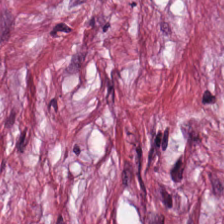WSI patch · H&E-stained tissue section.
Tissue = tumor-associated stroma.
